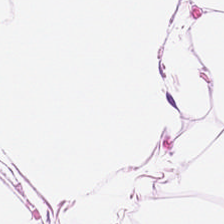Brightfield microscopy · H&E · 224×224 px tile. This patch shows adipose.
